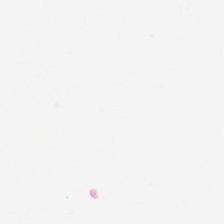H&E stain. 224×224 pixel tile. Finding — background (no tissue).
